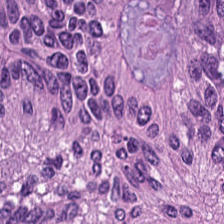H&E stain.
The predominant tissue is adenocarcinoma.
